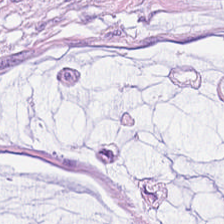FFPE; hematoxylin-and-eosin stained section; brightfield microscopy. Q: What does this patch show?
A: The field shows mucus.
